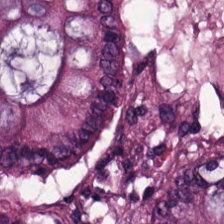H&E stain — Predominantly normal colon mucosa.
